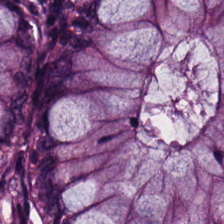Impression → normal colonic mucosa.
